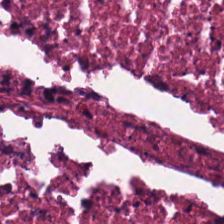Hematoxylin-and-eosin stained section — Tissue: cellular debris.
